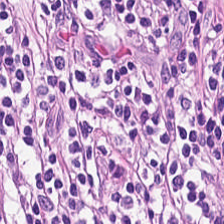Finding — lymphocytic infiltrate.
